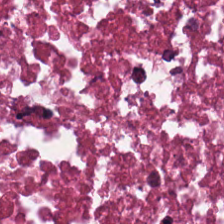Stain: H&E-stained tissue section.
Resolution: 0.5 µm/px.
Tissue: necrotic debris.
